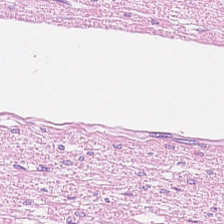H&E stain. Q: Identify the tissue.
A: This is smooth-muscle tissue.
